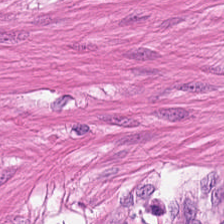Hematoxylin-and-eosin stained section. 0.5 µm per pixel. Q: What is shown here?
A: This is muscularis.
